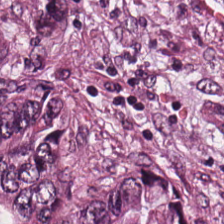Hematoxylin and eosin. Tissue class — colorectal adenocarcinoma epithelium.
